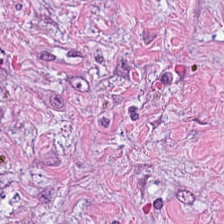H&E-stained tissue section · FFPE tissue section — Predominantly cancer-associated stroma.
